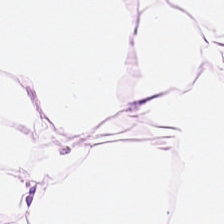Brightfield. H&E-stained tissue section. Q: What tissue is shown?
A: The field shows adipose.
